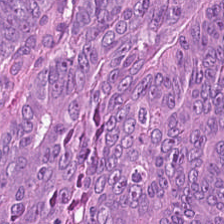Formalin-fixed paraffin-embedded section; 224×224 px tile; H&E-stained tissue section. {"tissue_type": "malignant epithelium"}
